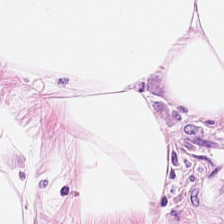Hematoxylin and eosin. This field is adipose tissue.
